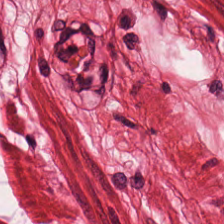H&E-stained tissue section. {"tissue_type": "muscularis"}
